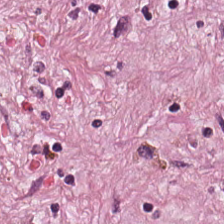Hematoxylin and eosin.
Predominant tissue — tumor stroma.
